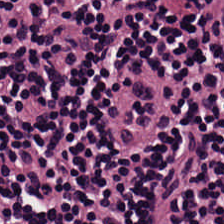Hematoxylin and eosin. This patch shows lymphocytes.
